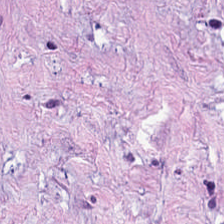FFPE tissue section · WSI patch · hematoxylin and eosin.
Predominantly desmoplastic stroma.
